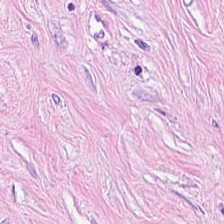Hematoxylin-and-eosin stained section. WSI patch. This field is cancer-associated stroma.
